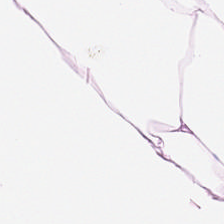Hematoxylin-and-eosin stained section — Q: What tissue type is shown here?
A: Adipocytes.
